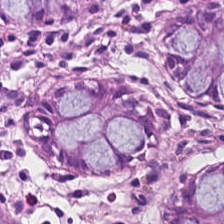Hematoxylin and eosin.
The tissue class is non-neoplastic colon mucosa.
